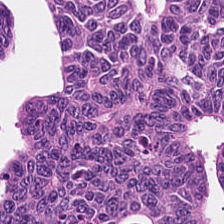Stain: hematoxylin and eosin.
Tissue class: tumor epithelium.
